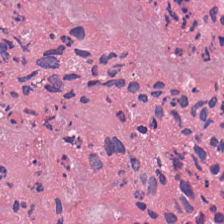Stain: hematoxylin and eosin.
Tile size: 224×224 pixel tile.
Tissue: necrotic debris.
